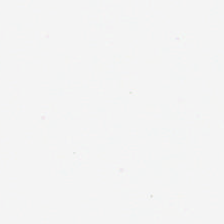Stain: hematoxylin-and-eosin stained section.
Acquisition: brightfield.
Field content: no tissue.
